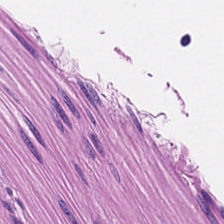H&E-stained tissue section; brightfield. Predominantly smooth muscle.
